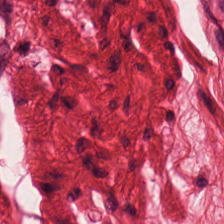H&E stain. Q: What is shown in this field?
A: This is smooth-muscle tissue.
